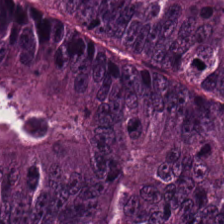H&E-stained tissue section. WSI patch. 0.5 µm per pixel. Histology → colorectal adenocarcinoma epithelium.
